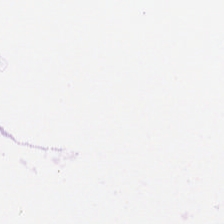This field is background (no tissue).
